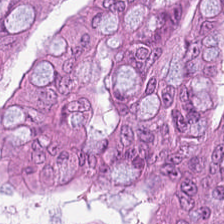Showing colorectal adenocarcinoma.
